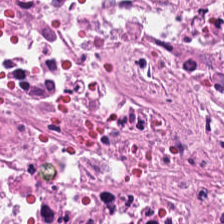Formalin-fixed paraffin-embedded section; hematoxylin-and-eosin stained section.
Showing debris.
